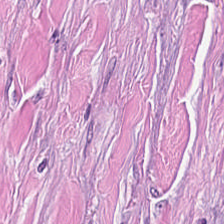Tissue = desmoplastic stroma.
